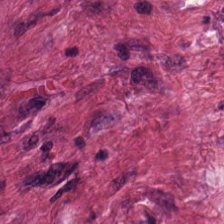Hematoxylin-and-eosin stained section. Brightfield. This patch shows cancer-associated stroma.
